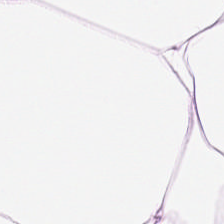Stain: H&E stain.
Classification: adipose tissue.
